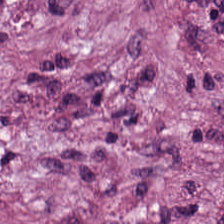Q: Classify this patch.
A: Cancer-associated stroma.
